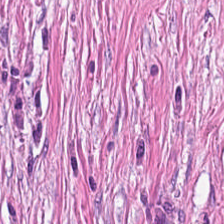H&E. 0.5 µm per pixel. Brightfield microscopy.
Finding — cancer-associated stroma.
